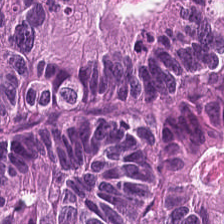H&E.
{"tissue_type": "tumor epithelium"}
